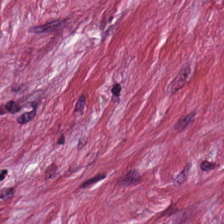Hematoxylin-and-eosin stained section; brightfield microscopy — Finding → tumor-associated stroma.
